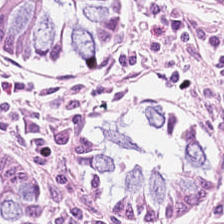Finding — normal colonic mucosa.
